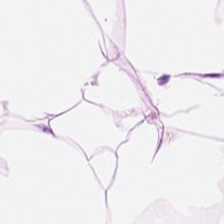Q: What type of tissue is this?
A: Fat tissue.
